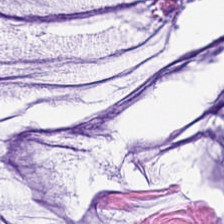Hematoxylin-and-eosin stained section. 0.5 µm/px. Brightfield — This patch shows mucin.
